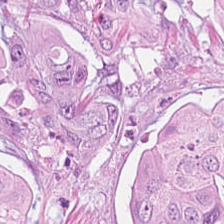H&E-stained tissue section showing tumor epithelium.
